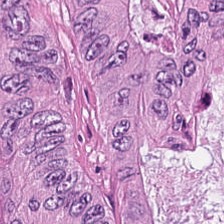H&E-stained tissue section — Q: What tissue is shown?
A: It is malignant epithelium.
